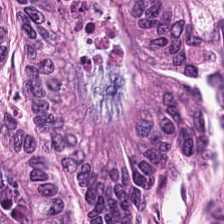Predominantly colorectal adenocarcinoma epithelium.
